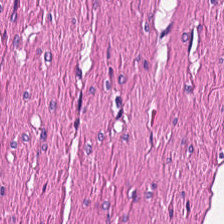H&E-stained tissue section.
Showing smooth-muscle tissue.
